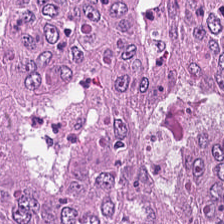Tissue: colorectal adenocarcinoma.
